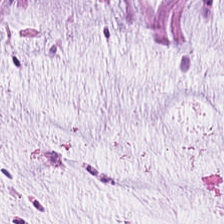H&E-stained tissue section — Q: What does this patch show?
A: This is mucin.
